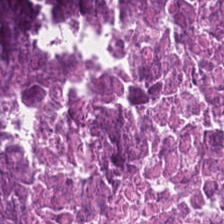Impression → cellular debris.
